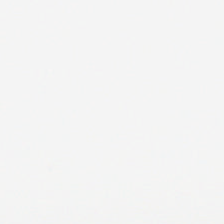H&E. Field content: background (no tissue).
